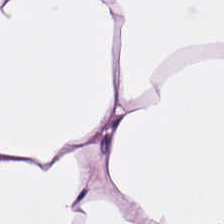Hematoxylin and eosin; 224×224 pixel tile.
Predominantly fat tissue.
